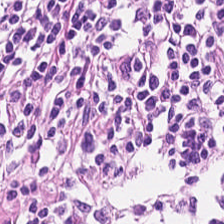Q: What tissue type is shown here?
A: Lymphocytic infiltrate.
